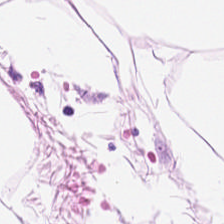0.5 µm/px. Hematoxylin and eosin. Tissue class: adipose tissue.
